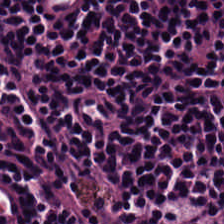H&E-stained tissue section. Q: What tissue is shown?
A: Lymphocyte aggregate.
